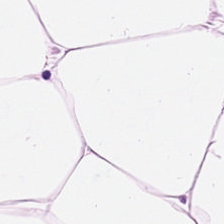Stain: hematoxylin and eosin.
Preparation: FFPE.
Tile size: 224×224 px patch.
Classification: adipose tissue.
